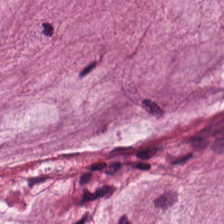Hematoxylin-and-eosin stained section. Mucin.
